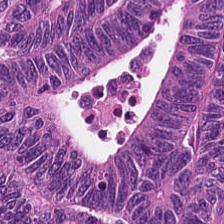Stain: H&E stain.
Tissue type: malignant epithelium.
